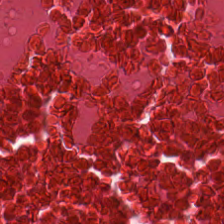224×224 px patch · WSI patch · H&E stain.
The predominant tissue is cellular debris.
